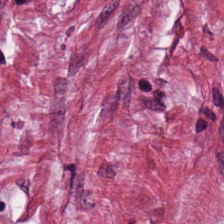Formalin-fixed paraffin-embedded section; 224×224 pixel tile; hematoxylin and eosin.
The predominant tissue is cancer-associated stroma.
